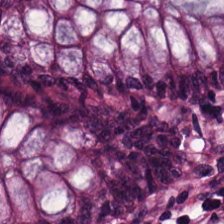The tissue is normal colonic mucosa.
